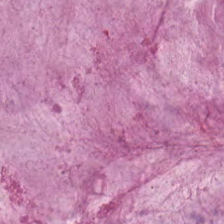H&E.
Showing mucus.
